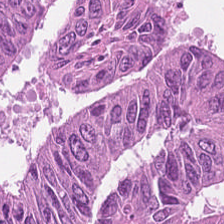Q: Identify the tissue.
A: This is tumor epithelium.
